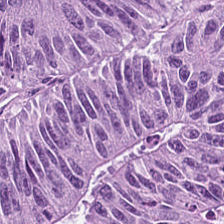Stain: hematoxylin-and-eosin stained section.
Preparation: FFPE tissue section.
Resolution: 20× equivalent magnification.
Tissue class: malignant epithelium.
